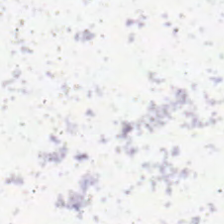H&E-stained tissue section. FFPE. The classification is background.
